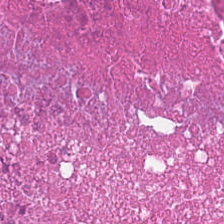224×224 px patch; H&E-stained tissue section; whole-slide-image patch. This patch shows cellular debris.
